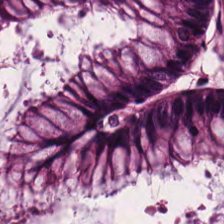Brightfield. FFPE. H&E.
The predominant tissue is benign colonic mucosa.
